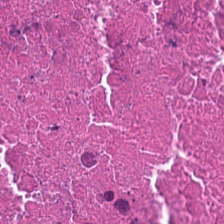Hematoxylin-and-eosin stained section.
The tissue class is necrotic debris.
